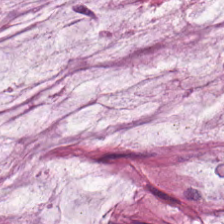Tissue — extracellular mucin.
